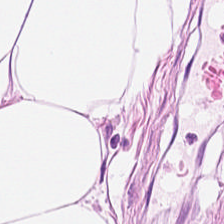224×224 px tile. 0.5 µm/px. Hematoxylin and eosin — This field is adipose tissue.
